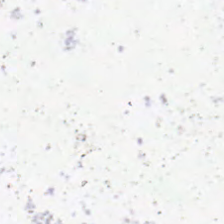H&E — Q: What is shown in this field?
A: It is background.
